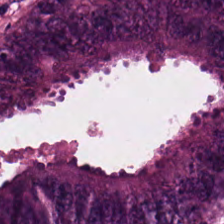Hematoxylin and eosin. Predominant tissue — tumor epithelium.
